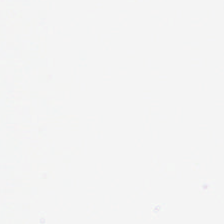0.5 microns per pixel. H&E-stained tissue section.
The field content is background (no tissue).
